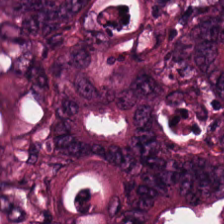H&E-stained tissue section. Tissue type — malignant epithelium.
